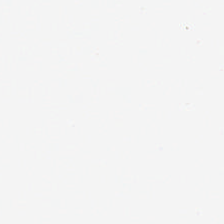Stain: hematoxylin-and-eosin stained section.
Classification: background.
